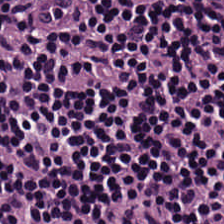Tissue — lymphocytic infiltrate.
